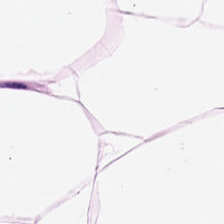Hematoxylin and eosin — Fat tissue.
